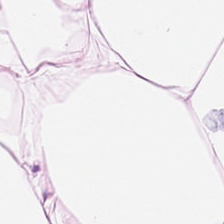Whole-slide-image patch; hematoxylin and eosin.
This field is adipose.
